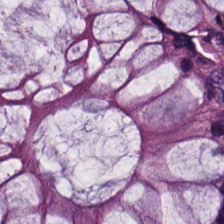Hematoxylin and eosin — Tissue class — benign colonic mucosa.
